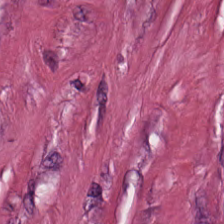Stain: H&E.
Tissue class: cancer-associated stroma.
